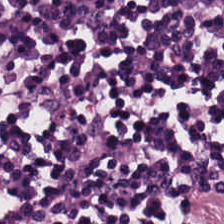Stain: hematoxylin and eosin.
Resolution: 0.5 µm/px.
Tissue: lymphocyte aggregate.
